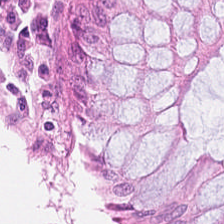0.5 microns per pixel · hematoxylin-and-eosin stained section · whole-slide-image patch — Tissue type: benign colonic mucosa.
